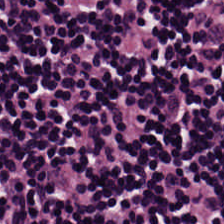The tissue type is lymphocytes.
